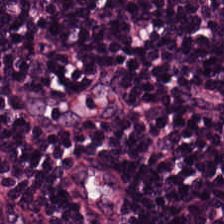Brightfield microscopy; H&E stain; 224×224 px patch. Tissue class — lymphoid infiltrate.
